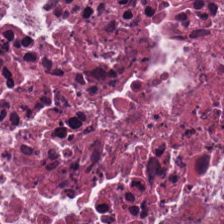Stain: H&E stain.
Preparation: FFPE.
Classification: debris.
